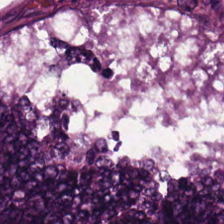H&E. 0.5 µm per pixel. WSI patch.
{"tissue_type": "colorectal adenocarcinoma epithelium"}
